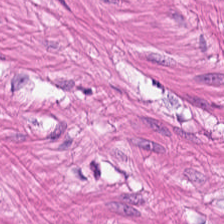Hematoxylin and eosin — Smooth-muscle tissue.
